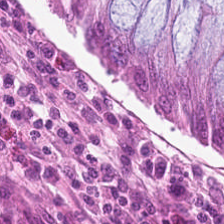H&E — benign colonic mucosa.
